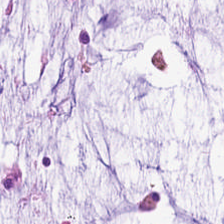Hematoxylin and eosin. Q: What is shown here?
A: The field shows mucus.
